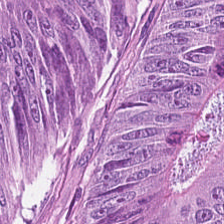Hematoxylin and eosin — Finding → colorectal adenocarcinoma epithelium.
